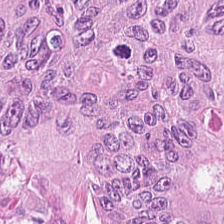H&E — Q: Identify the tissue.
A: Malignant epithelium.
